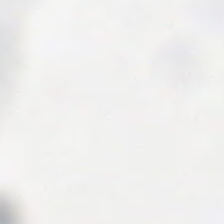Brightfield. H&E stain. Classification = background.
